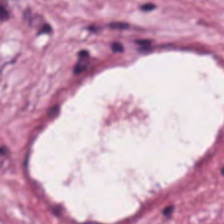Stain: H&E-stained tissue section.
Tissue: tumor-associated stroma.
